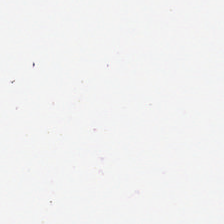Hematoxylin-and-eosin stained section — Background (no tissue).
